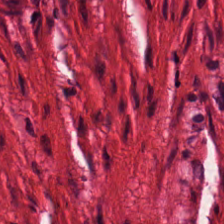Hematoxylin-and-eosin stained section · whole-slide-image patch — Predominantly muscularis.
